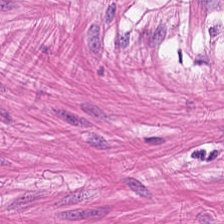20× equivalent magnification; H&E.
Smooth muscle.
